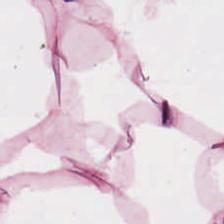Stain: H&E stain.
Preparation: FFPE tissue section.
Classification: adipose tissue.
